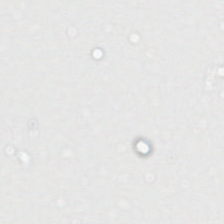{"content": "empty background"}
